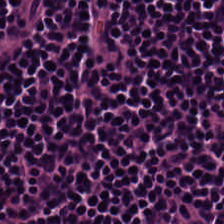Tissue class = lymphocyte aggregate.
